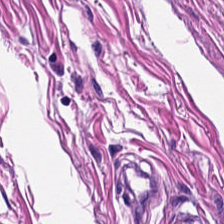224×224 pixel tile · H&E stain.
Finding — smooth-muscle tissue.
